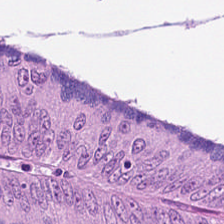H&E. WSI patch. 0.5 µm per pixel. Q: What is the predominant tissue type?
A: It is adenocarcinoma.
